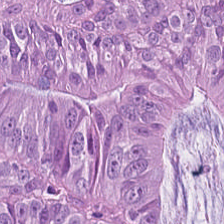H&E. The tissue here is adenocarcinoma.
